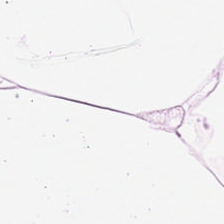H&E stain. Q: What tissue type is shown here?
A: The field shows fat tissue.
